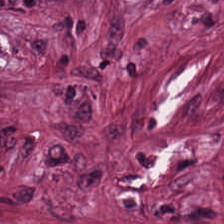224×224 px tile; hematoxylin and eosin.
Tumor stroma.
